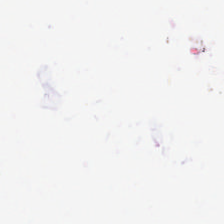Hematoxylin and eosin — This field is background (no tissue).
